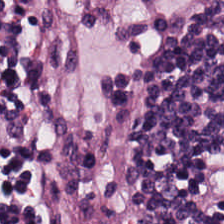H&E-stained tissue section; 0.5 microns per pixel.
Showing lymphoid infiltrate.
